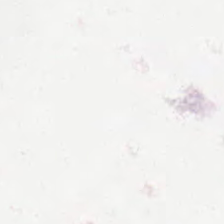Formalin-fixed paraffin-embedded section. H&E — No tissue present; background only.
